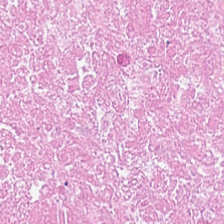H&E-stained tissue section.
Q: What is shown here?
A: This is necrotic debris.
